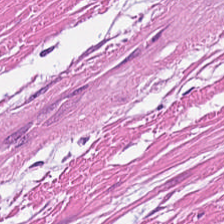Q: What tissue is shown?
A: Smooth-muscle tissue.
